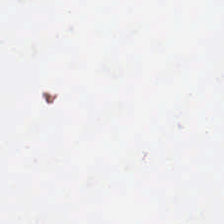224×224 px patch. H&E-stained tissue section. 0.5 µm/px — This patch shows background.
